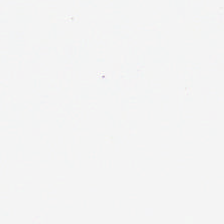Hematoxylin and eosin. The field content is background.
